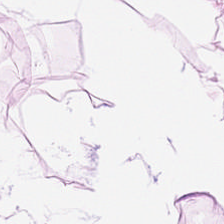Stain: H&E-stained tissue section.
Predominant tissue: adipose.
